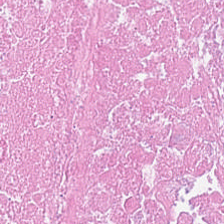FFPE. Hematoxylin-and-eosin stained section. 224×224 px patch.
Q: What type of tissue is this?
A: It is debris.
